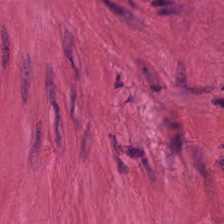224×224 px patch. H&E stain.
{"tissue_type": "muscularis"}
